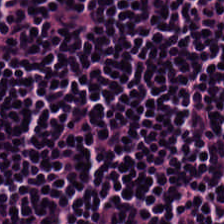H&E-stained tissue section. Brightfield. Tissue type — lymphocytic infiltrate.
